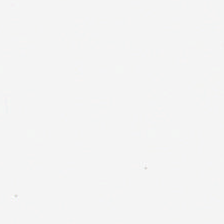No tissue.
